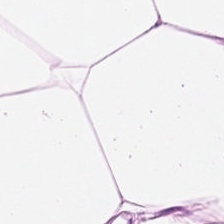Brightfield. Hematoxylin-and-eosin stained section — Showing adipose.
